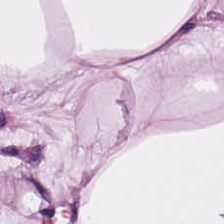H&E stain. Predominantly adipose tissue.
